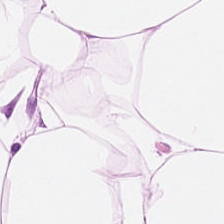Hematoxylin and eosin. This field is adipose tissue.
